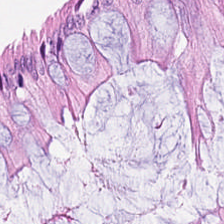H&E stain. 224×224 pixel tile. FFPE.
The tissue class is benign colonic mucosa.
